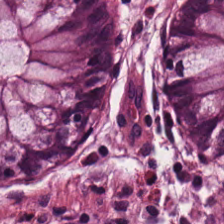H&E-stained tissue section.
The tissue here is normal colon mucosa.
